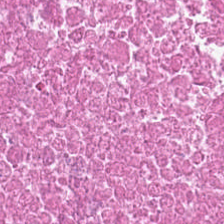H&E-stained tissue section — The tissue here is debris.
